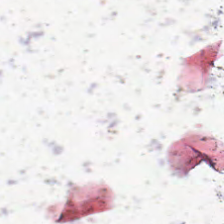H&E-stained tissue section; FFPE tissue section; 224×224 px tile. Q: What does this patch show?
A: The field shows background.
